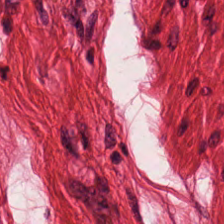Hematoxylin-and-eosin stained section.
Tissue — smooth-muscle tissue.
